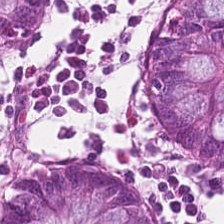H&E-stained tissue section. FFPE. 0.5 microns per pixel.
The predominant tissue is non-neoplastic colon mucosa.
